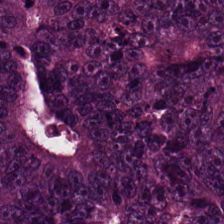Hematoxylin and eosin. Colorectal adenocarcinoma.
